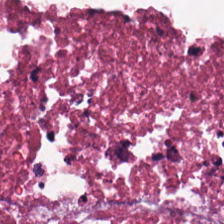0.5 µm/px · H&E — Showing necrotic debris.
